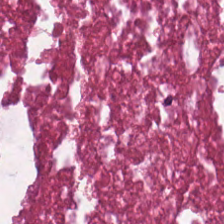Hematoxylin-and-eosin section: necrotic debris.
